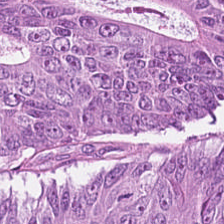Hematoxylin-and-eosin stained section — Predominantly colorectal adenocarcinoma epithelium.
